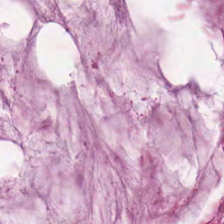FFPE · hematoxylin and eosin.
Tissue — mucus.
